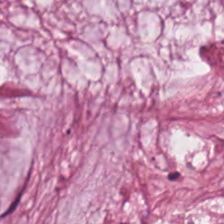Tissue = mucin.
